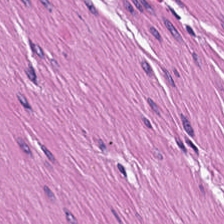Hematoxylin-and-eosin stained section — Predominant tissue: muscularis.
